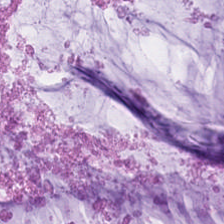WSI patch. H&E stain.
This patch shows extracellular mucin.
